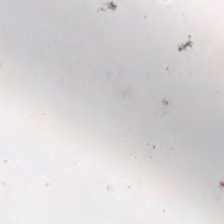224×224 px tile · hematoxylin and eosin — This field is background (no tissue).
